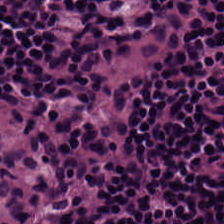Stain: H&E.
Preparation: formalin-fixed paraffin-embedded section.
Tile size: 224×224 px tile.
Tissue: lymphoid infiltrate.
